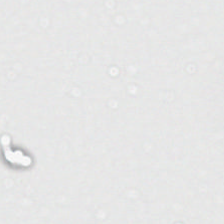224×224 pixel tile · H&E stain · formalin-fixed paraffin-embedded section — Field content = empty background.
